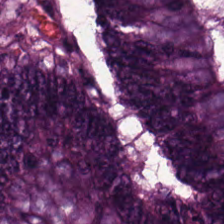20× equivalent magnification. Hematoxylin-and-eosin stained section.
Tissue class — tumor epithelium.
